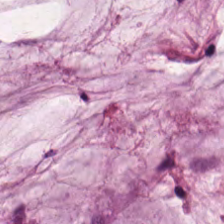H&E stain — Extracellular mucin.
